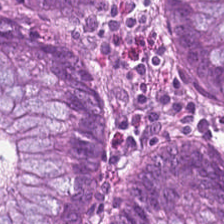224×224 pixel tile; hematoxylin and eosin.
{"tissue_type": "normal colon mucosa"}
